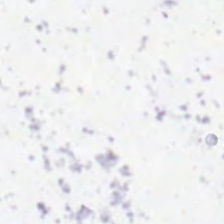H&E stain · FFPE.
{"content": "background"}
